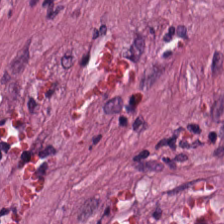Tumor stroma.
